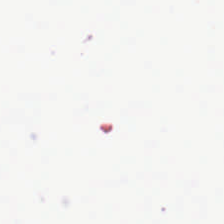Background — no tissue in this field.
